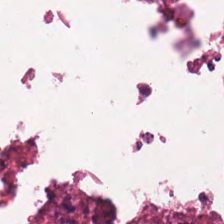H&E — Showing cellular debris.
